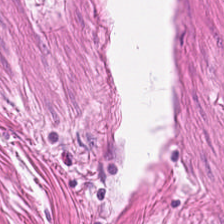This patch shows smooth muscle.
